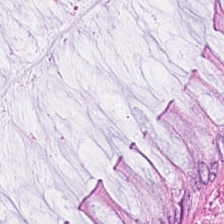H&E stain. Histology → non-neoplastic colon mucosa.
